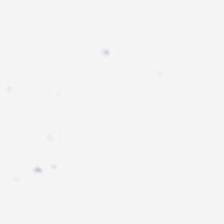H&E-stained tissue section. FFPE tissue section. 0.5 microns per pixel. Content: background.
